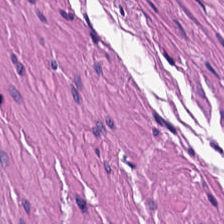H&E stain; 224×224 pixel tile.
Smooth-muscle tissue.
